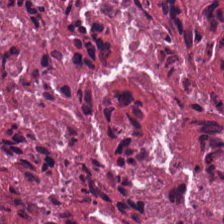Hematoxylin-and-eosin stained section.
The predominant tissue is necrotic debris.
